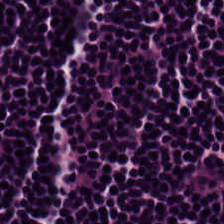Tissue = lymphocytes.
